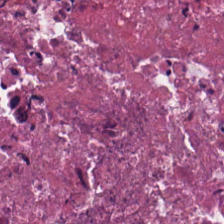Hematoxylin-and-eosin stained section. Tissue class = necrotic debris.
